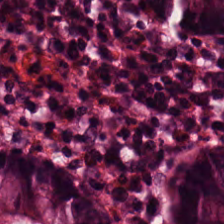H&E stain. This patch shows normal colonic mucosa.
